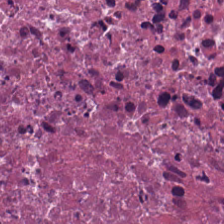H&E stain. Predominantly necrotic debris.
